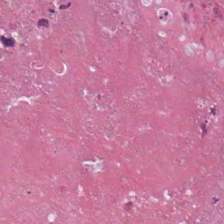224×224 px tile · H&E-stained tissue section · formalin-fixed paraffin-embedded section.
The tissue here is cellular debris.
